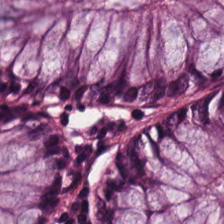Stain: H&E.
Tissue class: non-neoplastic colon mucosa.
